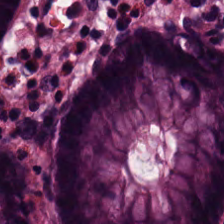H&E stain · 0.5 µm/px. Predominantly normal colonic mucosa.
